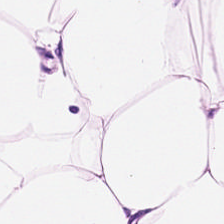Stain: hematoxylin-and-eosin stained section.
Resolution: 20× equivalent magnification.
Tissue: adipocytes.
